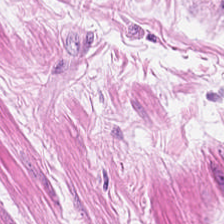Stain: H&E-stained tissue section.
Tissue type: smooth-muscle tissue.
